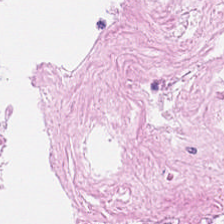Impression — necrotic debris.
